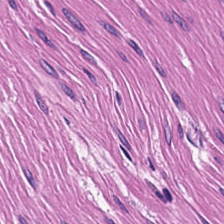Stain: H&E.
Tissue type: smooth-muscle tissue.
